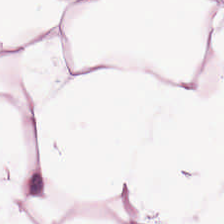Hematoxylin and eosin.
Q: What is shown here?
A: This is adipose tissue.
